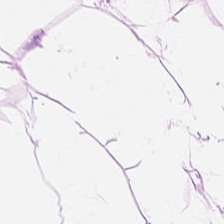Stain: hematoxylin-and-eosin stained section.
Tissue type: adipocytes.
